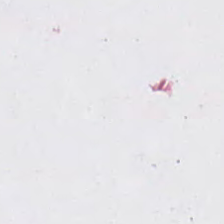FFPE. H&E-stained tissue section. Brightfield. Classification — no tissue.
